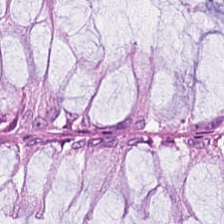Hematoxylin and eosin.
Tissue type — non-neoplastic colon mucosa.
